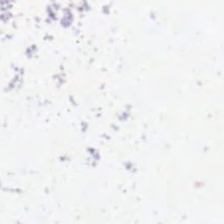The field content is no tissue.
